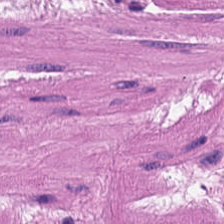H&E.
Impression — smooth-muscle tissue.
